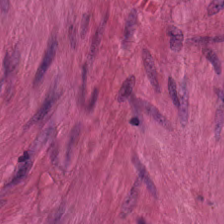0.5 µm per pixel; hematoxylin and eosin. Q: Identify the tissue.
A: It is smooth-muscle tissue.
